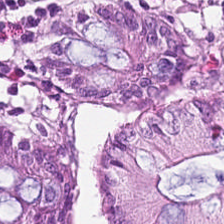H&E-stained section; the field shows non-neoplastic colon mucosa.
